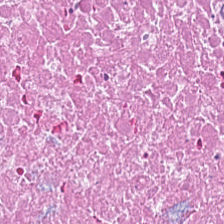H&E — This patch shows debris.
